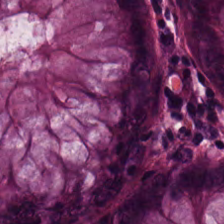Finding → normal colon mucosa.
